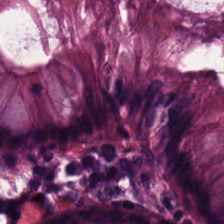0.5 microns per pixel. Hematoxylin and eosin. 224×224 px patch — Benign colonic mucosa.
